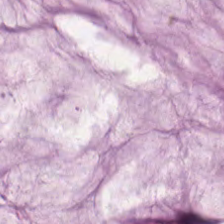Stain: hematoxylin-and-eosin stained section.
Classification: mucus.
